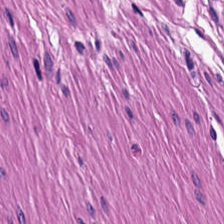H&E.
Tissue class — muscularis.
